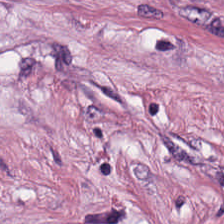Stain: hematoxylin-and-eosin stained section.
Classification: desmoplastic stroma.
